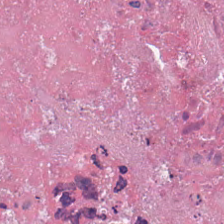H&E stain.
The tissue type is cellular debris.
